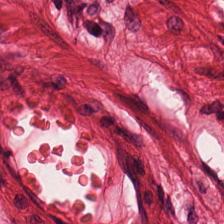H&E stain · whole-slide-image patch — Q: What is shown in this field?
A: The field shows smooth-muscle tissue.
